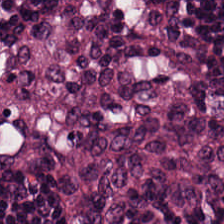Hematoxylin-and-eosin stained section. This patch shows lymphocytes.
